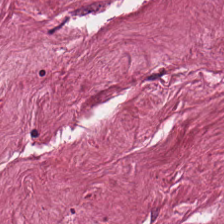Hematoxylin and eosin.
Q: What tissue is shown?
A: It is cancer-associated stroma.
